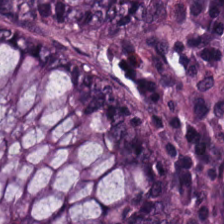H&E stain — Q: Classify this patch.
A: The field shows benign colonic mucosa.
